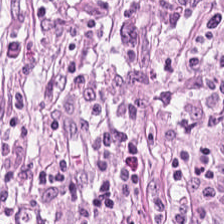FFPE; H&E-stained tissue section. Showing tumor stroma.
